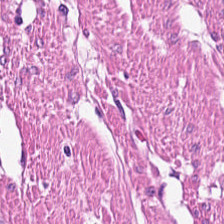Hematoxylin-and-eosin stained section. 224×224 pixel tile. Predominant tissue = muscularis.
